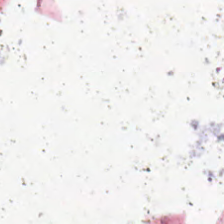224×224 px tile · brightfield microscopy · hematoxylin-and-eosin stained section — Q: Classify this patch.
A: It is background.
